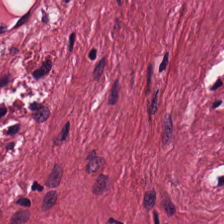Hematoxylin-and-eosin stained section · brightfield — This patch shows tumor stroma.
